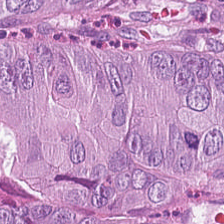224×224 pixel tile · H&E · formalin-fixed paraffin-embedded section — The predominant tissue is tumor epithelium.
